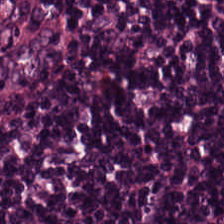Hematoxylin-and-eosin stained section. Predominantly lymphocytes.
